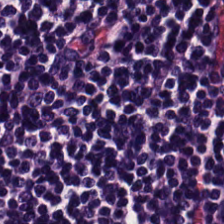Hematoxylin-and-eosin stained section — Impression → lymphocytic infiltrate.
